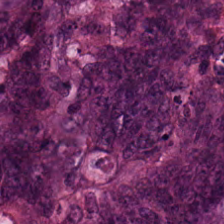Brightfield · H&E-stained tissue section · 224×224 px patch. The classification is colorectal adenocarcinoma.
